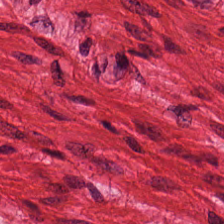Hematoxylin-and-eosin stained section.
Q: Classify this patch.
A: Smooth muscle.
